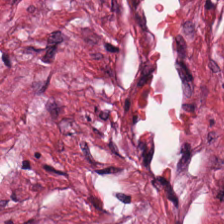H&E stain. This patch shows cancer-associated stroma.
